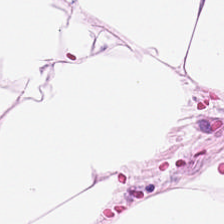Hematoxylin and eosin. 0.5 µm/px — Tissue type = fat tissue.
